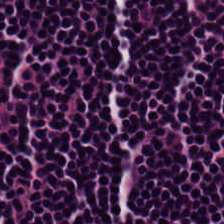0.5 microns per pixel. H&E stain. Impression → lymphocytes.
